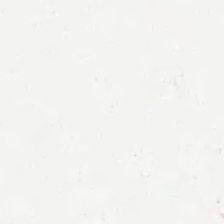Stain: H&E.
Resolution: 0.5 microns per pixel.
Classification: background.
